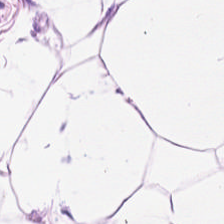Hematoxylin-and-eosin stained section. 224×224 px tile. Q: What is shown here?
A: This is adipose.
